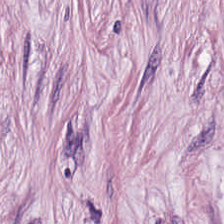FFPE tissue section · H&E. Q: What is the predominant tissue type?
A: This is tumor stroma.
